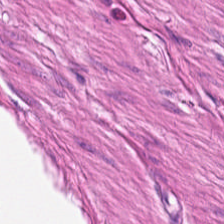Histology → smooth-muscle tissue.
